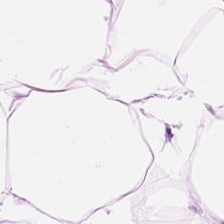H&E stain — Q: What type of tissue is this?
A: The field shows adipocytes.
